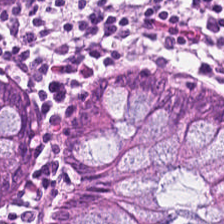20× equivalent magnification. H&E-stained tissue section. 224×224 px patch. The predominant tissue is non-neoplastic colon mucosa.
